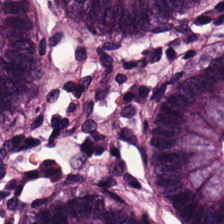{"tissue_type": "non-neoplastic colon mucosa"}
